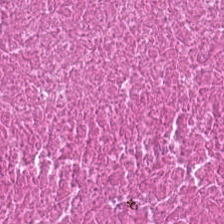H&E · FFPE tissue section · 0.5 µm per pixel — Predominantly necrotic debris.
